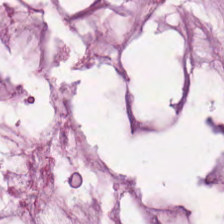Whole-slide-image patch; H&E.
Histology → mucus.
